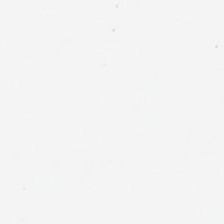Content — empty background.
